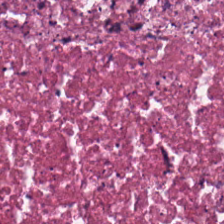H&E-stained tissue section. FFPE tissue section.
Tissue type — necrotic debris.
